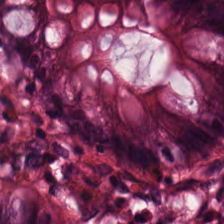Stain: H&E-stained tissue section.
Tissue type: benign colonic mucosa.
